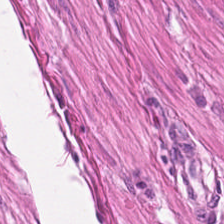Hematoxylin-and-eosin stained section. The tissue class is smooth-muscle tissue.
